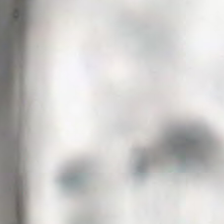H&E.
Background — no tissue in this field.
